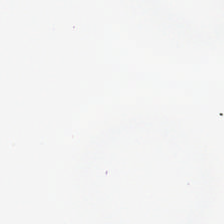H&E stain. Content — no tissue.
